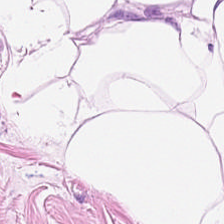H&E. Q: What tissue type is shown here?
A: The field shows adipose tissue.
